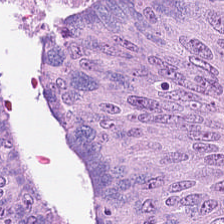Hematoxylin and eosin — This patch shows tumor epithelium.
